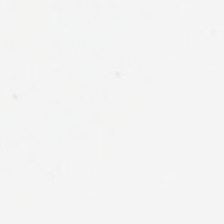H&E.
Field content: no tissue.
